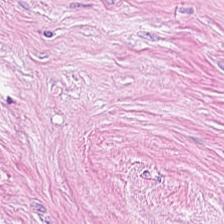Hematoxylin and eosin — Tissue class: desmoplastic stroma.
